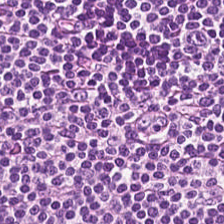H&E-stained tissue section; FFPE tissue section; WSI patch.
Classification = lymphocytes.
